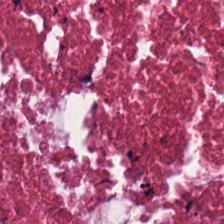Whole-slide-image patch. H&E-stained tissue section — Classification: necrotic debris.
